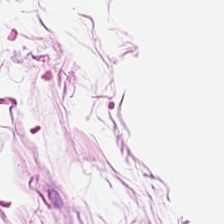WSI patch · H&E · FFPE.
The predominant tissue is adipocytes.
